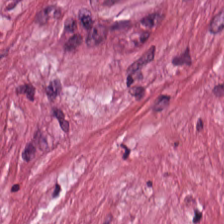H&E — tumor stroma.
